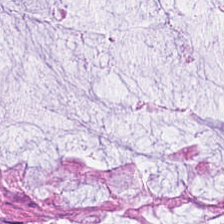H&E-stained tissue section; 0.5 µm per pixel. The classification is benign colonic mucosa.
